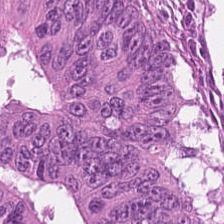H&E-stained section; the field shows tumor epithelium.
